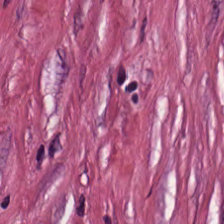Stain: hematoxylin-and-eosin stained section.
Tissue class: tumor stroma.
